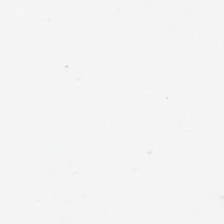0.5 microns per pixel · H&E. Finding → background (no tissue).
